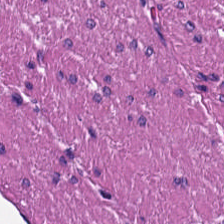Stain: H&E-stained tissue section.
Tissue: smooth muscle.
